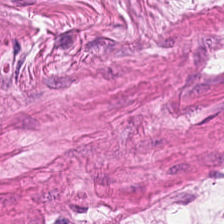The predominant tissue is smooth muscle.
